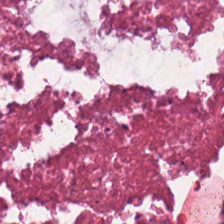H&E. {"tissue_type": "debris"}
